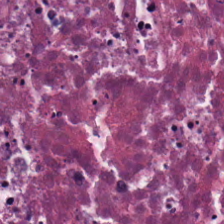Stain: hematoxylin-and-eosin stained section.
Tissue class: necrotic debris.
